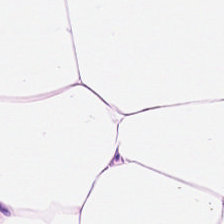Stain: hematoxylin-and-eosin stained section.
Acquisition: brightfield.
Resolution: 0.5 µm/px.
Classification: adipose tissue.
